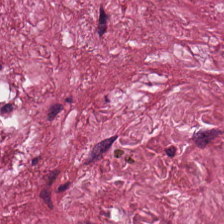Histology — tumor-associated stroma.
